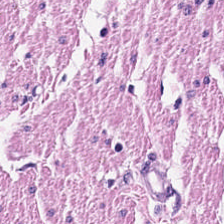Histology → muscularis.
